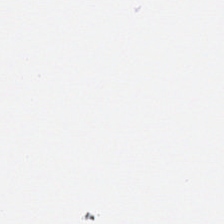Hematoxylin and eosin — The content is background.
